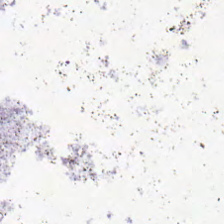The field content is background (no tissue).
